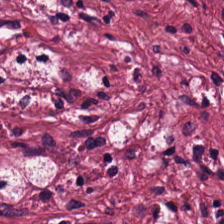Hematoxylin and eosin · brightfield — Tissue = tumor stroma.
